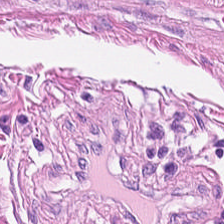The predominant tissue is smooth-muscle tissue.
